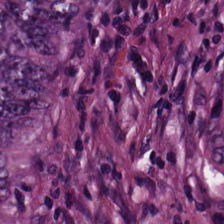The tissue type is malignant epithelium.
